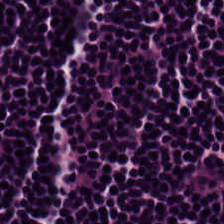H&E-stained tissue section. Classification = lymphoid infiltrate.
